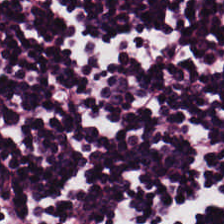FFPE · H&E-stained tissue section — Showing lymphocytes.
